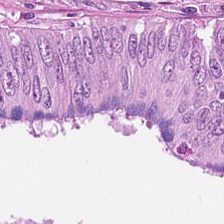H&E stain — Finding → adenocarcinoma.
